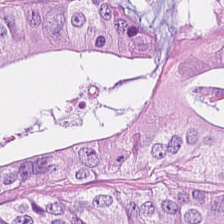Predominantly colorectal adenocarcinoma epithelium.
